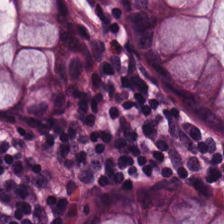Formalin-fixed paraffin-embedded section; 0.5 µm per pixel; H&E stain.
Tissue: normal colonic mucosa.
